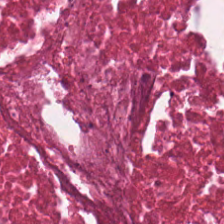0.5 µm per pixel. H&E — Showing cellular debris.
